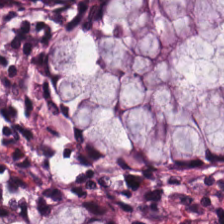Brightfield. H&E-stained tissue section.
Q: What tissue is shown?
A: The field shows normal colonic mucosa.
